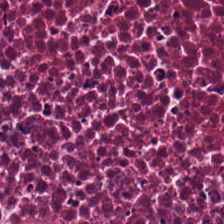H&E · formalin-fixed paraffin-embedded section. Tissue type — necrotic debris.
